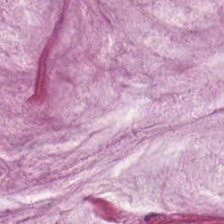Stain: hematoxylin-and-eosin stained section.
Preparation: formalin-fixed paraffin-embedded section.
Acquisition: whole-slide-image patch.
Tissue type: extracellular mucin.
